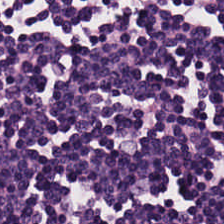0.5 µm per pixel · hematoxylin-and-eosin stained section. The tissue here is lymphocytic infiltrate.
